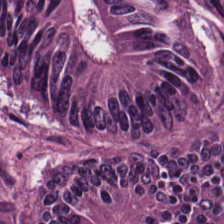Stain: H&E stain.
Tissue class: adenocarcinoma.
